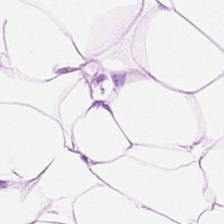Stain: H&E.
Predominant tissue: adipocytes.
